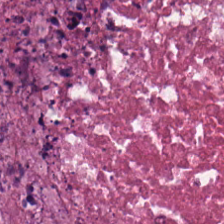Stain: H&E-stained tissue section.
Tile size: 224×224 px patch.
Acquisition: brightfield.
Tissue type: debris.
